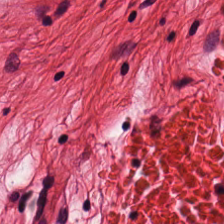H&E stain · FFPE.
Tissue — muscularis.
